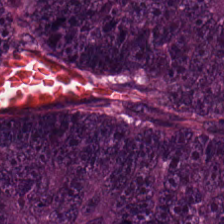H&E. Showing malignant epithelium.
